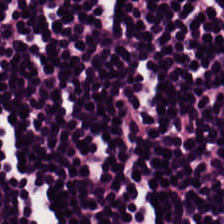WSI patch · hematoxylin-and-eosin stained section. Showing lymphocytes.
